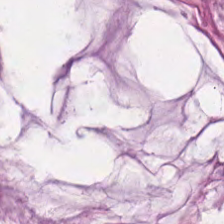Stain: H&E-stained tissue section.
Acquisition: brightfield.
Tissue: mucus.
